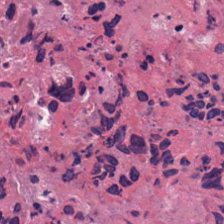The tissue class is debris.
